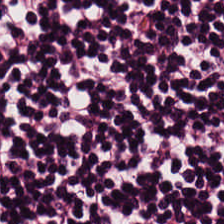Stain: hematoxylin and eosin.
Preparation: formalin-fixed paraffin-embedded section.
Tissue class: lymphocytes.
